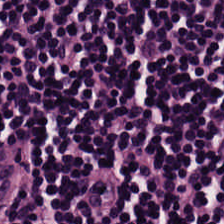H&E stain. {"tissue_type": "lymphocytes"}
